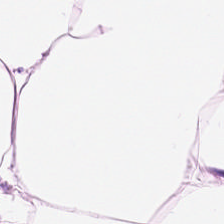Brightfield; 0.5 microns per pixel; hematoxylin-and-eosin stained section — Fat tissue.
